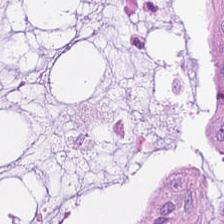H&E.
The predominant tissue is extracellular mucin.
